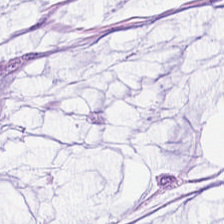Hematoxylin and eosin; formalin-fixed paraffin-embedded section.
The tissue here is mucus.
